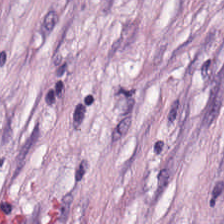Impression → tumor-associated stroma.
